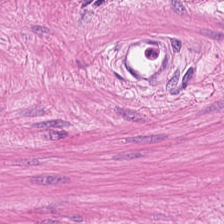H&E stain; FFPE; 224×224 px tile.
Predominantly smooth-muscle tissue.
